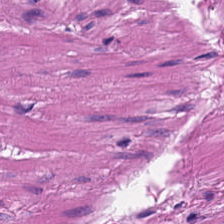The predominant tissue is muscularis.
